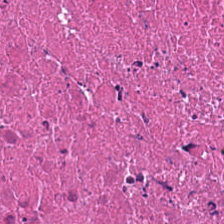224×224 pixel tile. H&E. Brightfield. Tissue class — cellular debris.
